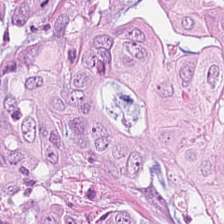Hematoxylin-and-eosin stained section.
Q: What tissue type is shown here?
A: This is malignant epithelium.
